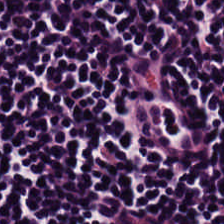H&E-stained tissue section showing lymphocytes.
